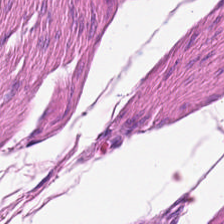Hematoxylin-and-eosin stained section · brightfield · FFPE. This patch shows smooth muscle.
